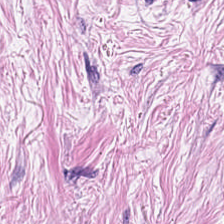224×224 px patch · H&E · 0.5 µm per pixel — The tissue class is desmoplastic stroma.
